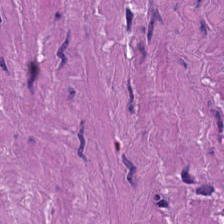H&E-stained tissue section.
{"tissue_type": "smooth muscle"}
